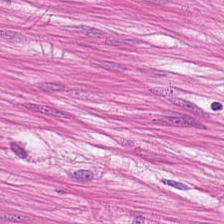H&E — The tissue class is smooth-muscle tissue.
